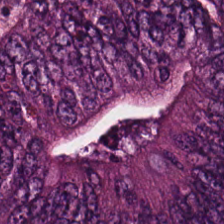This field is colorectal adenocarcinoma epithelium.
